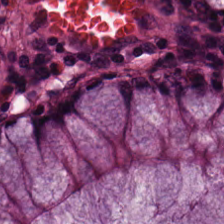H&E. Q: What does this patch show?
A: This is non-neoplastic colon mucosa.
